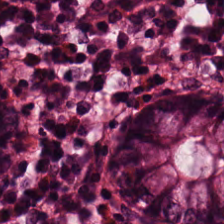H&E-stained tissue section — The classification is normal colonic mucosa.
